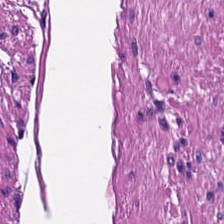Hematoxylin-and-eosin stained section — Showing muscularis.
